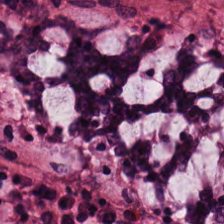{"tissue_type": "benign colonic mucosa"}
